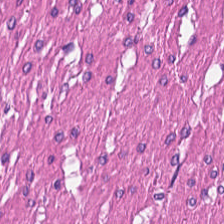Hematoxylin-and-eosin stained section.
Smooth muscle.
